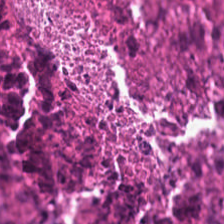Brightfield microscopy · hematoxylin and eosin.
Tissue: necrotic debris.
